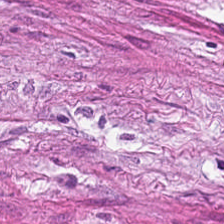H&E stain. Q: What tissue type is shown here?
A: Cancer-associated stroma.
